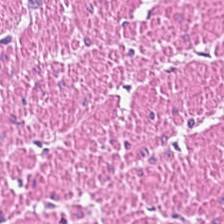H&E-stained tissue section; FFPE. Smooth-muscle tissue.
